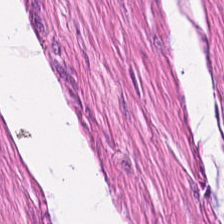H&E-stained tissue section. 224×224 pixel tile.
Tissue type = smooth muscle.
